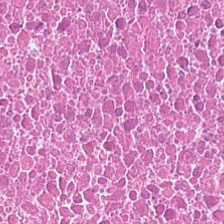Hematoxylin and eosin; formalin-fixed paraffin-embedded section. Tissue type = necrotic debris.
